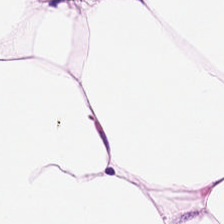0.5 µm/px; hematoxylin-and-eosin stained section. Adipose tissue.
